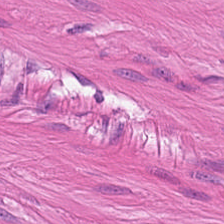Hematoxylin and eosin; formalin-fixed paraffin-embedded section. {"tissue_type": "smooth-muscle tissue"}
